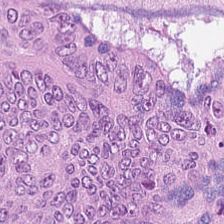Hematoxylin and eosin. 0.5 µm/px. Q: What type of tissue is this?
A: Malignant epithelium.
